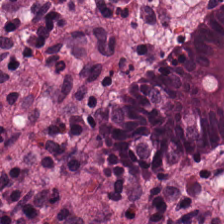Hematoxylin and eosin — Q: What is shown in this field?
A: The field shows benign colonic mucosa.
